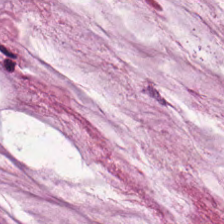Hematoxylin and eosin.
The tissue here is mucus.
